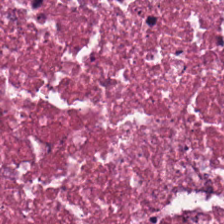H&E-stained tissue section; 20× equivalent magnification — Tissue class: necrotic debris.
